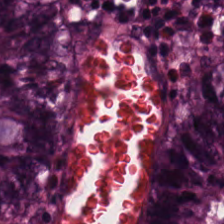H&E · 224×224 px patch.
Tissue type — normal colon mucosa.
